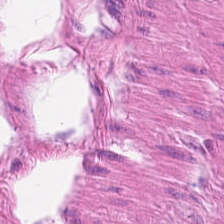H&E. The tissue here is smooth muscle.
